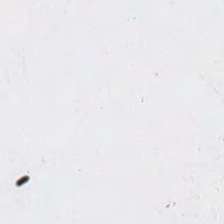Hematoxylin and eosin. Q: What does this patch show?
A: Empty background.
